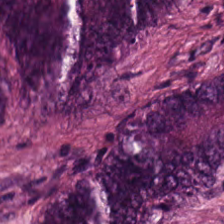Hematoxylin-and-eosin stained section — Tissue class — colorectal adenocarcinoma.
